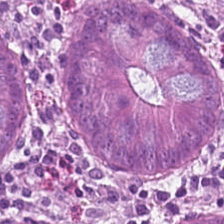H&E-stained tissue section. 20× equivalent magnification — Tissue type: non-neoplastic colon mucosa.
